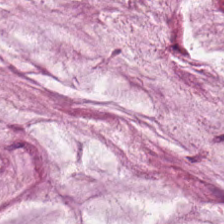H&E; FFPE — Q: What type of tissue is this?
A: This is mucus.
